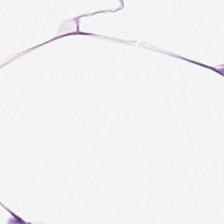Stain: H&E-stained tissue section.
Acquisition: brightfield microscopy.
Tissue type: adipose.
